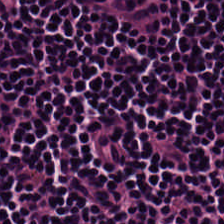Stain: H&E stain.
Classification: lymphocyte aggregate.
